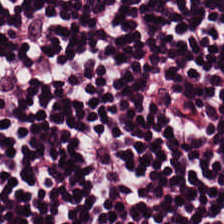The tissue here is lymphocytes.
